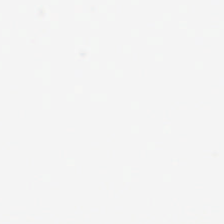Hematoxylin and eosin — Finding — no tissue.
